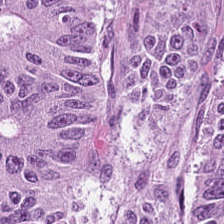H&E stain — Colorectal adenocarcinoma epithelium.
